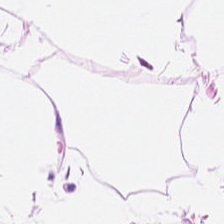Hematoxylin-and-eosin section: adipose tissue.
